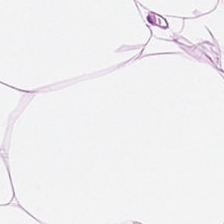H&E — adipocytes.
